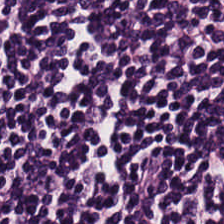Hematoxylin and eosin; 224×224 px tile; whole-slide-image patch. {"tissue_type": "lymphocytes"}
